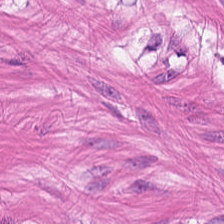0.5 microns per pixel · hematoxylin and eosin — Impression — smooth-muscle tissue.
